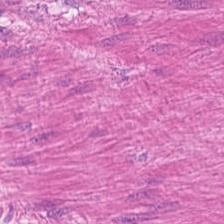H&E stain.
Tissue class = smooth-muscle tissue.
